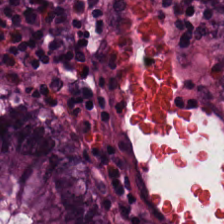Q: What type of tissue is this?
A: The field shows benign colonic mucosa.
